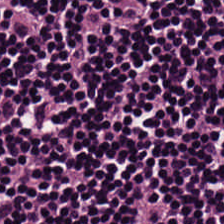Stain: H&E.
Tissue type: lymphocyte aggregate.
